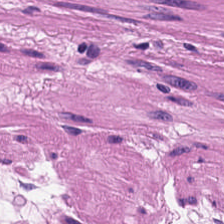Hematoxylin and eosin; 224×224 px tile; 0.5 microns per pixel — {"tissue_type": "muscularis"}
